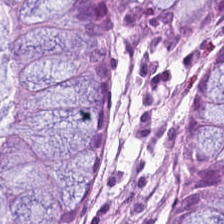H&E stain · FFPE tissue section · 0.5 µm/px — The predominant tissue is benign colonic mucosa.
